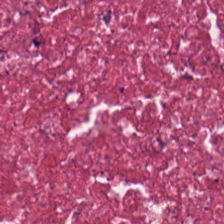Hematoxylin-and-eosin section: cancer-associated stroma.
